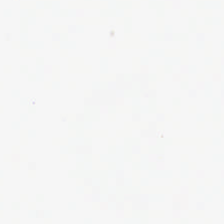This field is background (no tissue).
